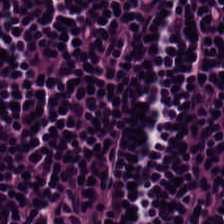Tissue class = lymphocytic infiltrate.
